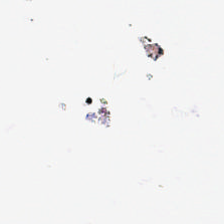H&E. This patch shows background (no tissue).
